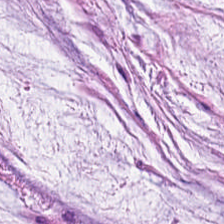H&E stain.
The tissue here is extracellular mucin.
